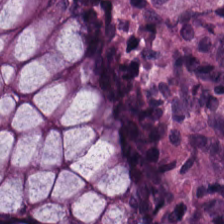Hematoxylin-and-eosin stained section. Q: Classify this patch.
A: The field shows normal colonic mucosa.
